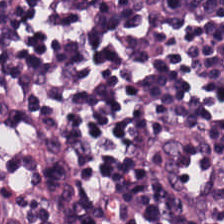Showing lymphoid infiltrate.
